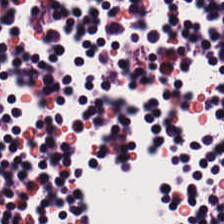Hematoxylin-and-eosin stained section. Q: Classify this patch.
A: The field shows lymphocyte aggregate.
